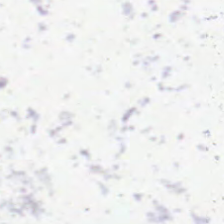Stain: hematoxylin and eosin.
Content: no tissue.
